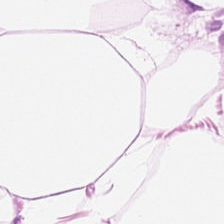224×224 px tile; whole-slide-image patch; H&E — This patch shows fat tissue.
